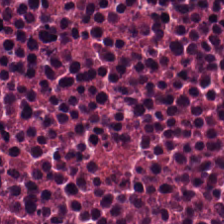Hematoxylin-and-eosin stained section. 224×224 px patch — Tissue class: necrotic debris.
